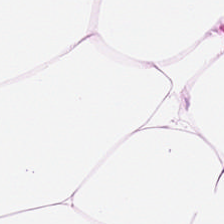H&E — Q: What does this patch show?
A: Adipose.
